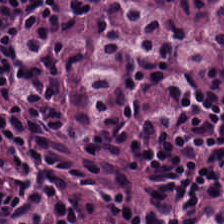Stain: H&E stain.
Predominant tissue: lymphocyte aggregate.
